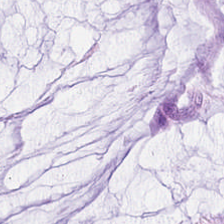224×224 pixel tile; H&E. The predominant tissue is mucin.
